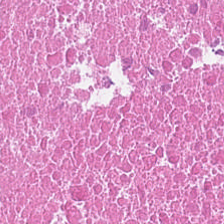224×224 pixel tile. 0.5 µm per pixel. Hematoxylin-and-eosin stained section.
Classification: debris.
